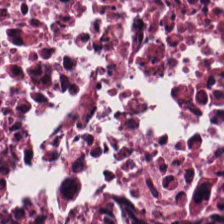H&E — Histology — necrotic debris.
